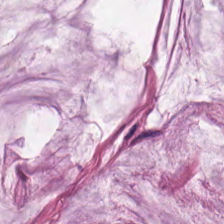H&E patch showing mucus.
